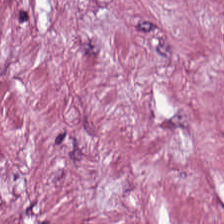Predominantly tumor stroma.
